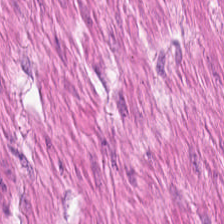H&E stain; 0.5 µm per pixel; 224×224 px tile. Q: Classify this patch.
A: The field shows muscularis.
